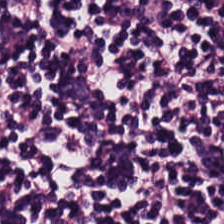Hematoxylin-and-eosin stained section.
Q: What is the predominant tissue type?
A: This is lymphocytic infiltrate.
